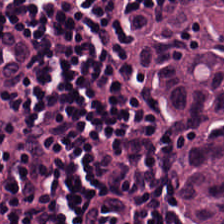Stain: hematoxylin and eosin.
Classification: lymphocyte aggregate.
